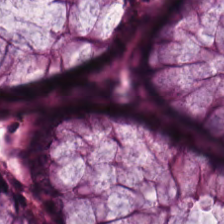Hematoxylin-and-eosin stained section — This patch shows benign colonic mucosa.
